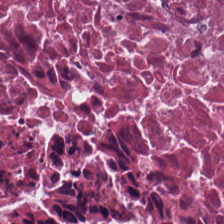H&E stain — The tissue here is debris.
